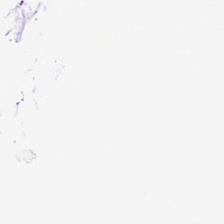Stain: hematoxylin-and-eosin stained section.
Content: empty background.
